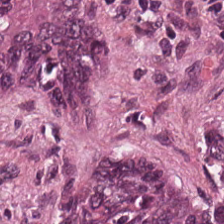Hematoxylin-and-eosin stained section.
Histology → adenocarcinoma.
